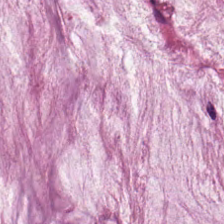H&E-stained tissue section.
{"tissue_type": "mucin"}
